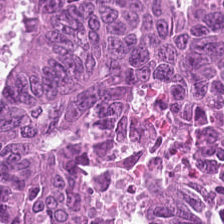H&E-stained tissue section; whole-slide-image patch — Q: What tissue is shown?
A: It is adenocarcinoma.
